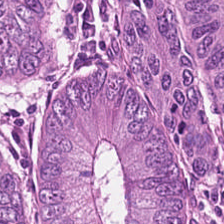H&E — This patch shows colorectal adenocarcinoma epithelium.
